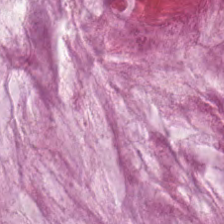FFPE. H&E stain — Showing extracellular mucin.
